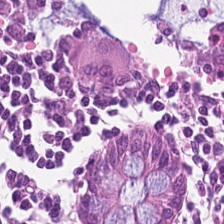Formalin-fixed paraffin-embedded section · hematoxylin and eosin · 224×224 px patch.
The predominant tissue is benign colonic mucosa.
